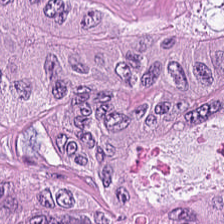Formalin-fixed paraffin-embedded section · H&E stain — Finding — colorectal adenocarcinoma.
